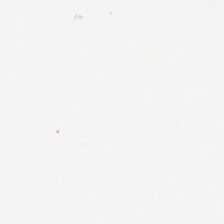This field is background (no tissue).
